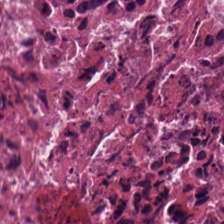H&E stain. Brightfield microscopy — Histology → cellular debris.
